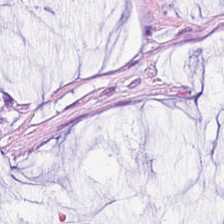H&E stain.
Extracellular mucin.
